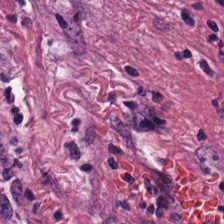Formalin-fixed paraffin-embedded section · H&E · 224×224 pixel tile. {"tissue_type": "desmoplastic stroma"}
